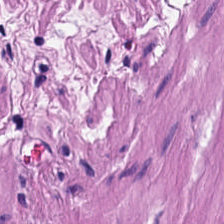Hematoxylin and eosin · 0.5 microns per pixel — Classification: muscularis.
